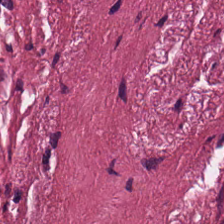H&E. Predominant tissue: tumor stroma.
